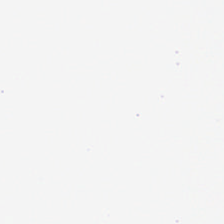224×224 px tile. Hematoxylin and eosin. FFPE — Impression → background.
